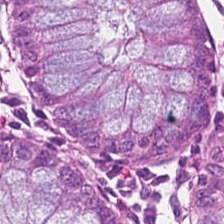H&E-stained tissue section. 224×224 pixel tile.
This patch shows normal colon mucosa.
